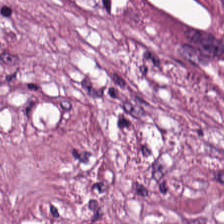Hematoxylin and eosin.
Finding → desmoplastic stroma.
